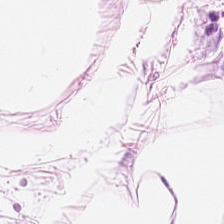H&E stain. {"tissue_type": "adipose tissue"}
